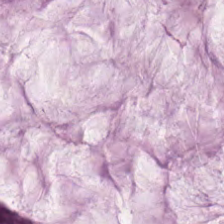Stain: H&E-stained tissue section.
Tissue: extracellular mucin.
